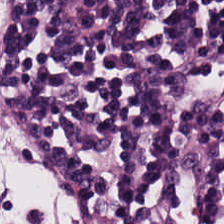FFPE tissue section; H&E.
Predominantly lymphocytic infiltrate.
